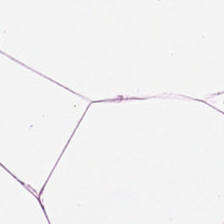Hematoxylin and eosin.
Q: Identify the tissue.
A: This is adipocytes.
